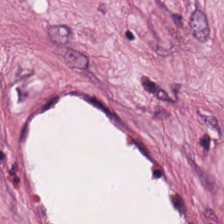The tissue here is tumor stroma.
